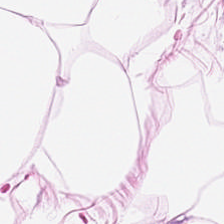H&E-stained tissue section. 0.5 µm/px. Brightfield microscopy — Predominantly adipocytes.
